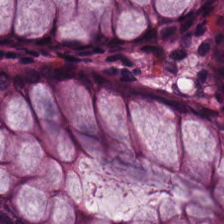224×224 px patch. Hematoxylin-and-eosin stained section.
Q: What does this patch show?
A: This is normal colon mucosa.
